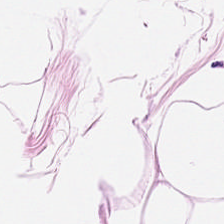H&E-stained tissue section. Showing adipose.
